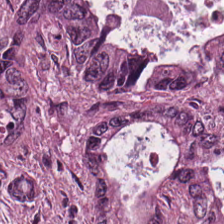H&E-stained tissue section · 0.5 µm/px — Showing malignant epithelium.
